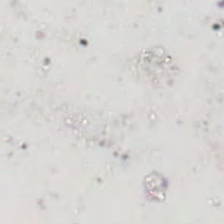Stain: hematoxylin and eosin.
Classification: no tissue.
